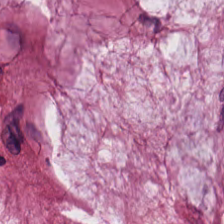This field is mucin.
